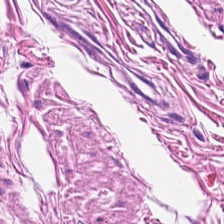Stain: H&E-stained tissue section.
Predominant tissue: smooth muscle.
